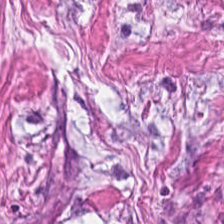H&E stain. Formalin-fixed paraffin-embedded section.
Impression — tumor stroma.
